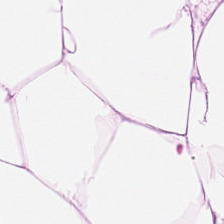Brightfield microscopy · hematoxylin and eosin. Adipose tissue.
